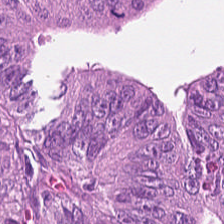Stain: hematoxylin and eosin.
Predominant tissue: colorectal adenocarcinoma.
